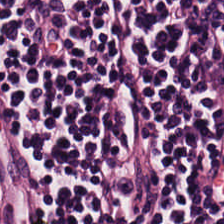0.5 microns per pixel; hematoxylin and eosin.
The predominant tissue is lymphocytes.
